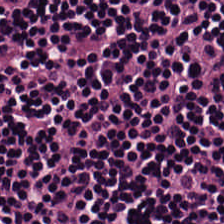Hematoxylin-and-eosin stained section — Q: What is shown in this field?
A: It is lymphocyte aggregate.
